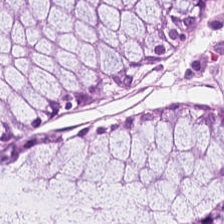Hematoxylin-and-eosin stained section; brightfield microscopy.
The predominant tissue is normal colon mucosa.
